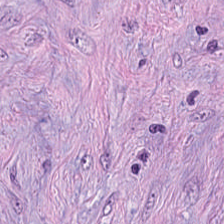224×224 px patch; FFPE tissue section; H&E stain.
{"tissue_type": "tumor stroma"}
